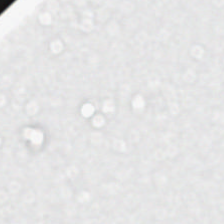Stain: H&E stain.
Acquisition: brightfield.
Field content: no tissue.
